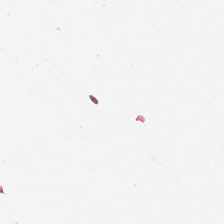H&E stain · 0.5 µm per pixel · 224×224 px tile — Background.
